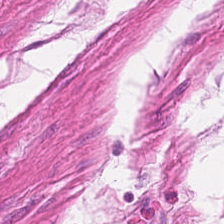H&E-stained tissue section — Finding → muscularis.
